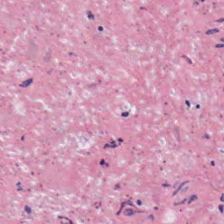The tissue class is debris.
